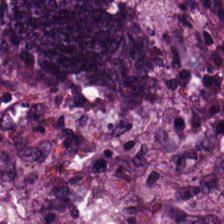H&E stain. Brightfield microscopy. 0.5 µm/px.
This patch shows colorectal adenocarcinoma.
